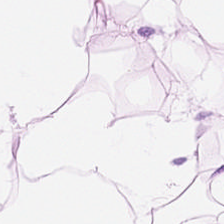H&E stain · FFPE tissue section. Histology — adipocytes.
